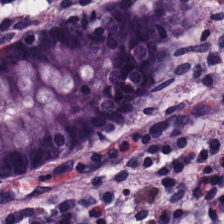H&E stain; 0.5 microns per pixel. The tissue here is non-neoplastic colon mucosa.
